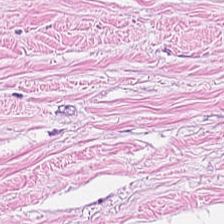FFPE tissue section. H&E-stained tissue section. Brightfield microscopy — Tissue type — tumor stroma.
